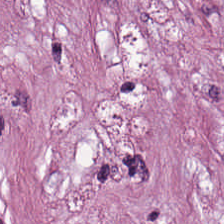0.5 µm/px. H&E stain. 224×224 px patch.
Q: What tissue type is shown here?
A: This is tumor stroma.
